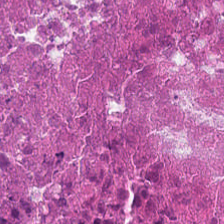H&E — Predominant tissue: necrotic debris.
